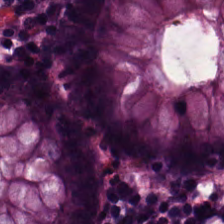H&E-stained tissue section — Q: What is shown here?
A: It is normal colon mucosa.
